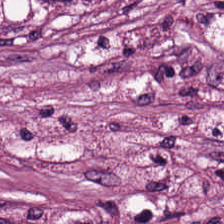Stain: hematoxylin-and-eosin stained section.
Resolution: 0.5 microns per pixel.
Tile size: 224×224 pixel tile.
Tissue: tumor stroma.
